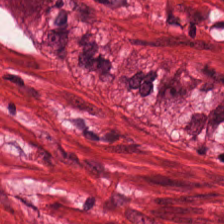Hematoxylin and eosin · 224×224 px tile.
Q: What is the predominant tissue type?
A: Smooth-muscle tissue.
